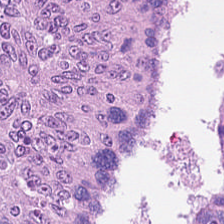Hematoxylin and eosin. The tissue class is tumor epithelium.
